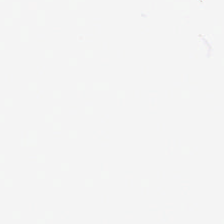H&E stain.
This field is background (no tissue).
